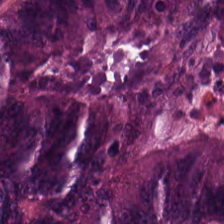Hematoxylin-and-eosin stained section — The tissue type is malignant epithelium.
